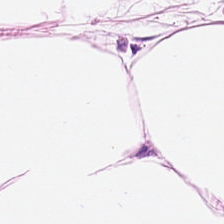H&E.
The tissue here is adipose.
